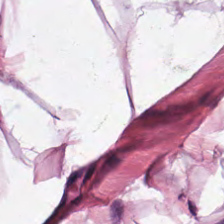Hematoxylin-and-eosin stained section — Tissue: adipose tissue.
